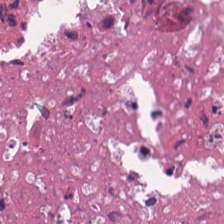Hematoxylin-and-eosin stained section — This field is necrotic debris.
